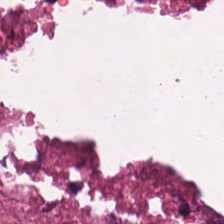20× equivalent magnification; brightfield microscopy; hematoxylin-and-eosin stained section.
Q: Classify this patch.
A: The field shows debris.
